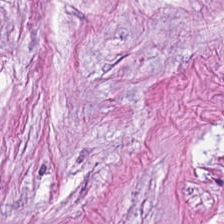Hematoxylin and eosin. Q: Classify this patch.
A: The field shows desmoplastic stroma.
